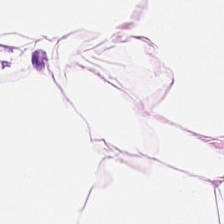H&E-stained tissue section. Showing adipose.
